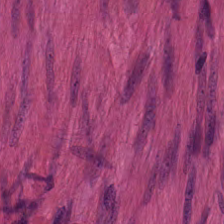Histology — smooth-muscle tissue.
